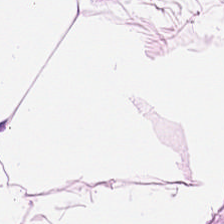H&E.
Tissue — adipose tissue.
